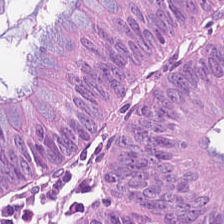Stain: hematoxylin-and-eosin stained section.
Tile size: 224×224 pixel tile.
Predominant tissue: colorectal adenocarcinoma epithelium.
